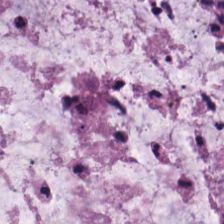FFPE tissue section; H&E-stained tissue section; whole-slide-image patch. Mucus.
